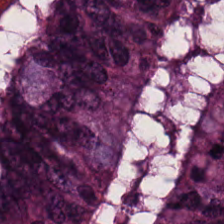{"tissue_type": "colorectal adenocarcinoma epithelium"}
